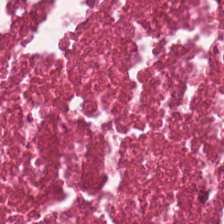H&E-stained tissue section. The classification is debris.
